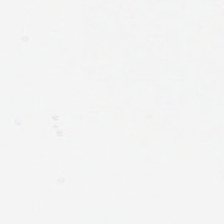0.5 microns per pixel; H&E stain — No tissue present; background only.
